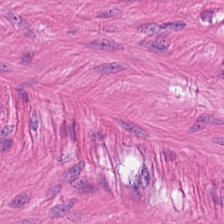Stain: H&E stain.
Tissue class: smooth-muscle tissue.
